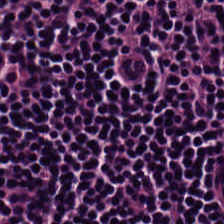Hematoxylin and eosin — {"tissue_type": "lymphoid infiltrate"}
